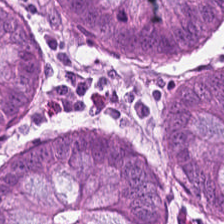Brightfield microscopy; hematoxylin and eosin; 20× equivalent magnification.
This patch shows non-neoplastic colon mucosa.
